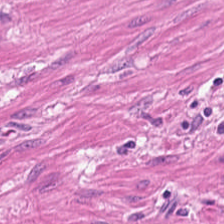Hematoxylin and eosin.
Tissue type = smooth muscle.
